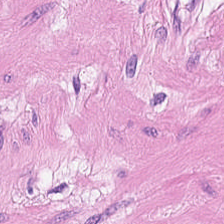Q: What is the predominant tissue type?
A: This is muscularis.
